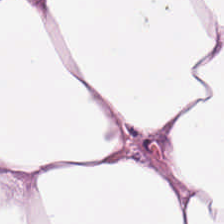H&E-stained tissue section.
This patch shows fat tissue.
